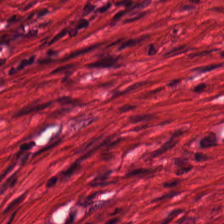Hematoxylin and eosin.
Tissue type — muscularis.
